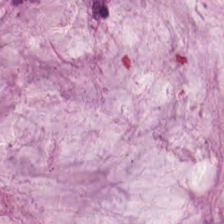Tissue: mucus.
